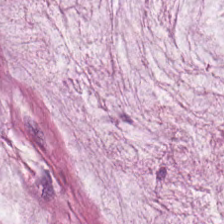H&E stain.
Showing mucin.
